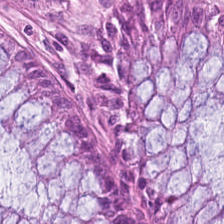Classification: normal colon mucosa.
